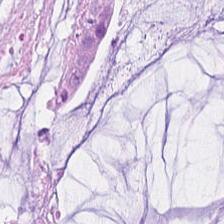Brightfield microscopy · H&E stain · 0.5 µm per pixel.
The tissue is mucus.
